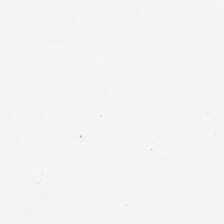H&E-stained tissue section. Q: What does this patch show?
A: It is background (no tissue).
